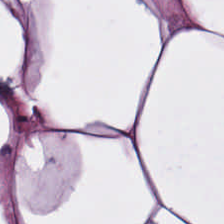Hematoxylin and eosin.
Predominantly adipose.
